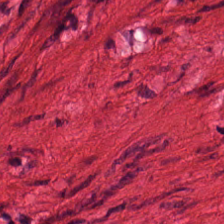The tissue here is smooth muscle.
